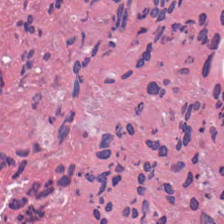Predominantly necrotic debris.
